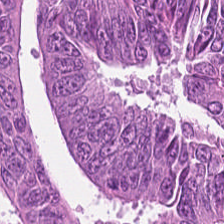The predominant tissue is colorectal adenocarcinoma epithelium.
